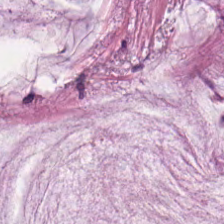H&E-stained tissue section; brightfield.
Q: What type of tissue is this?
A: It is mucus.
